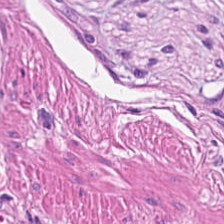Stain: hematoxylin and eosin.
Acquisition: whole-slide-image patch.
Classification: smooth-muscle tissue.
